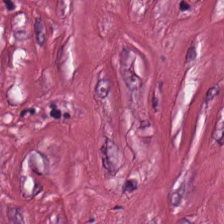H&E. 224×224 px tile — This patch shows desmoplastic stroma.
